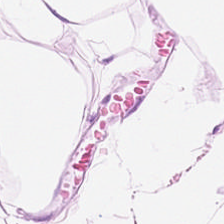H&E · 0.5 microns per pixel — Q: What tissue type is shown here?
A: This is adipose tissue.
